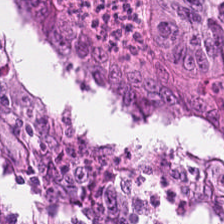Predominant tissue = malignant epithelium.
